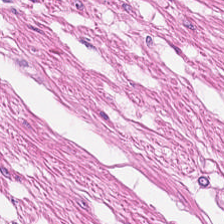Finding → muscularis.
